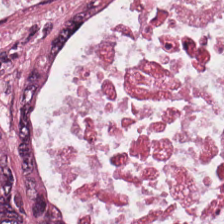Histology → adenocarcinoma.
